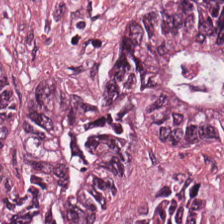H&E stain.
Tissue — colorectal adenocarcinoma.
